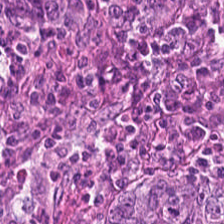H&E. Q: Identify the tissue.
A: Colorectal adenocarcinoma.
